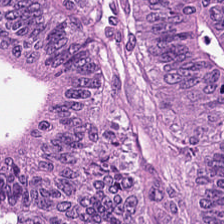H&E.
Classification: colorectal adenocarcinoma.
